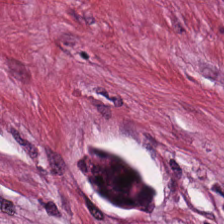Hematoxylin and eosin — The tissue here is tumor stroma.
